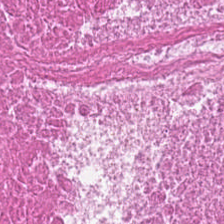H&E-stained tissue section. 224×224 px patch. Formalin-fixed paraffin-embedded section.
Q: What tissue type is shown here?
A: Necrotic debris.
